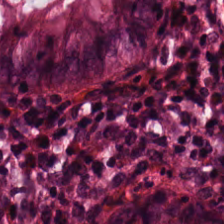H&E stain — Predominantly non-neoplastic colon mucosa.
